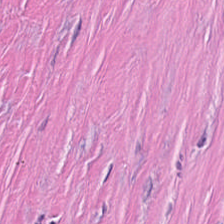0.5 µm per pixel; hematoxylin and eosin. The classification is tumor stroma.
